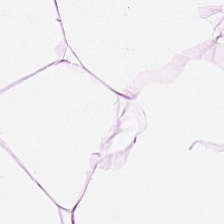Brightfield; hematoxylin-and-eosin stained section; 224×224 px tile. The tissue class is adipose.
